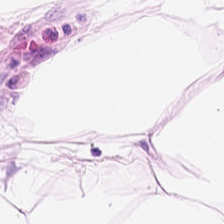Predominantly fat tissue.
